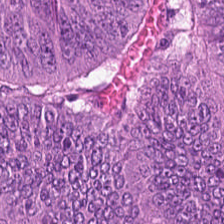H&E-stained tissue section.
Classification — malignant epithelium.
